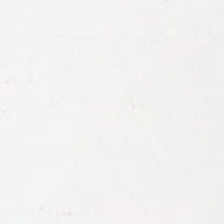Hematoxylin-and-eosin stained section. This patch shows no tissue.
